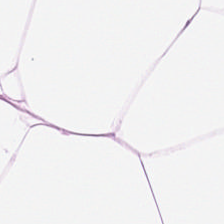H&E-stained section; the field shows adipocytes.
